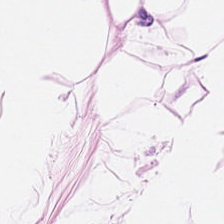Stain: H&E stain.
Preparation: formalin-fixed paraffin-embedded section.
Tissue type: fat tissue.
